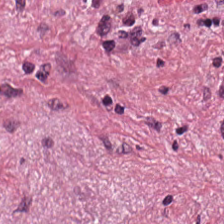H&E-stained tissue section — Cancer-associated stroma.
